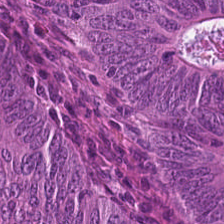The predominant tissue is colorectal adenocarcinoma epithelium.
